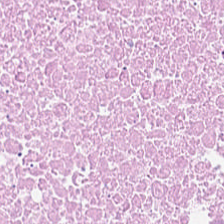Hematoxylin and eosin.
The predominant tissue is necrotic debris.
